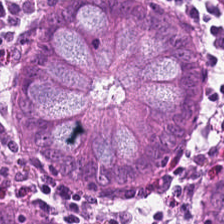Impression — benign colonic mucosa.
